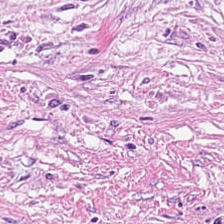Tissue class: tumor-associated stroma.
